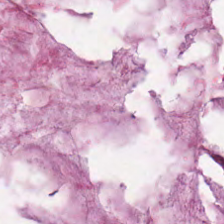Stain: H&E stain.
Acquisition: brightfield.
Resolution: 0.5 µm/px.
Classification: mucin.
